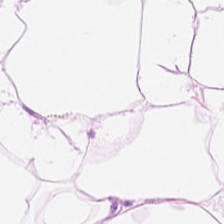Hematoxylin and eosin. 0.5 microns per pixel. FFPE tissue section — {"tissue_type": "adipocytes"}
